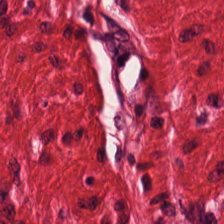Hematoxylin-and-eosin stained section. Q: Classify this patch.
A: It is smooth muscle.
